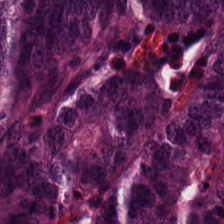H&E stain · 0.5 microns per pixel. Tumor epithelium.
